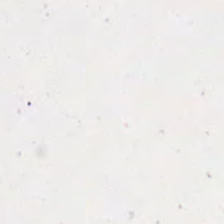H&E — This patch shows background (no tissue).
